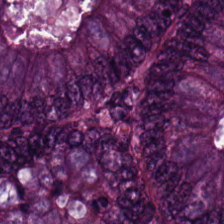224×224 px tile. Whole-slide-image patch. H&E-stained tissue section — The predominant tissue is colorectal adenocarcinoma.
